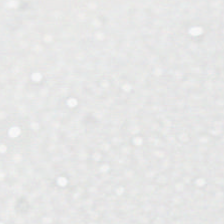Formalin-fixed paraffin-embedded section. H&E. This patch shows background (no tissue).
